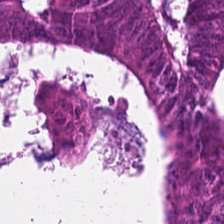H&E-stained section; the field shows colorectal adenocarcinoma.
